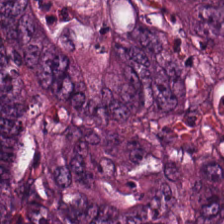Hematoxylin and eosin.
The tissue here is colorectal adenocarcinoma.
